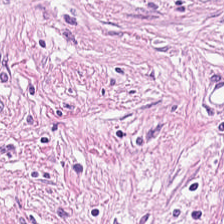H&E stain · 224×224 px tile — The classification is desmoplastic stroma.
